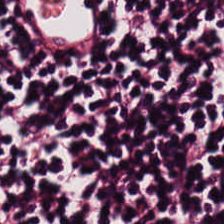H&E-stained tissue section.
Tissue class = lymphocyte aggregate.
